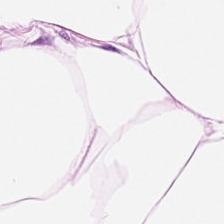0.5 microns per pixel; H&E-stained tissue section.
Q: What does this patch show?
A: This is adipose.
